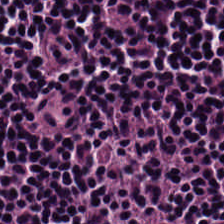20× equivalent magnification; hematoxylin-and-eosin stained section. Tissue: lymphocyte aggregate.
